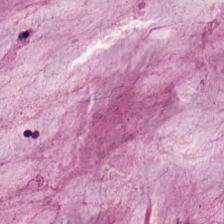H&E-stained tissue section.
The predominant tissue is mucus.
